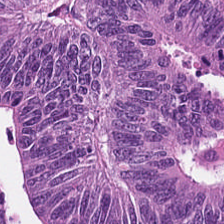Hematoxylin-and-eosin stained section. 224×224 px patch.
Q: What tissue type is shown here?
A: This is tumor epithelium.
